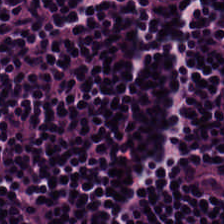H&E-stained tissue section · WSI patch.
Tissue type = lymphocytes.
